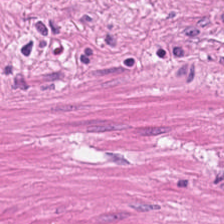H&E-stained tissue section. FFPE tissue section — The tissue class is smooth-muscle tissue.
